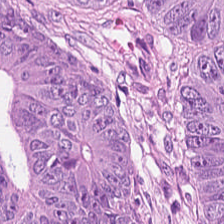Hematoxylin and eosin. {"tissue_type": "tumor epithelium"}
